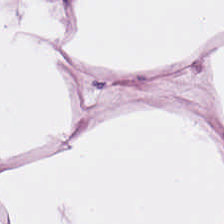H&E-stained tissue section.
Predominant tissue: adipose.
